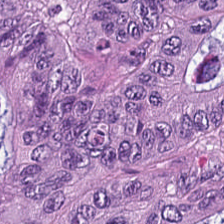0.5 µm/px · hematoxylin-and-eosin stained section. The tissue class is colorectal adenocarcinoma.
